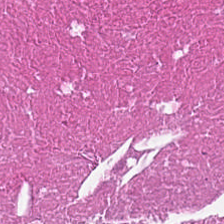Stain: H&E-stained tissue section.
Tissue type: necrotic debris.
